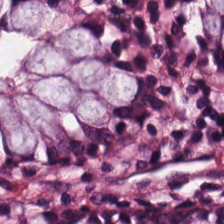Hematoxylin-and-eosin stained section · 224×224 pixel tile.
Tissue class = normal colon mucosa.
